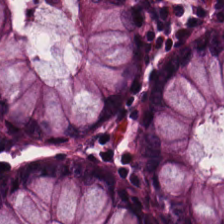This patch shows non-neoplastic colon mucosa.
